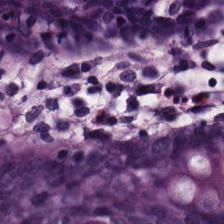{"tissue_type": "benign colonic mucosa"}
